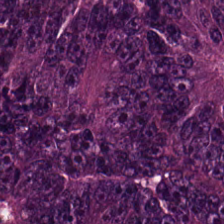H&E stain. Tissue class — malignant epithelium.
